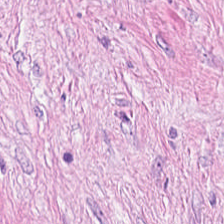H&E.
Q: Identify the tissue.
A: Tumor-associated stroma.
